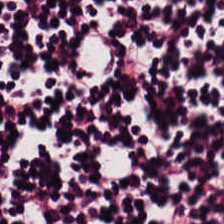H&E stain.
Impression → lymphocyte aggregate.
